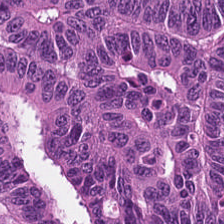Stain: H&E.
Acquisition: brightfield microscopy.
Resolution: 20× equivalent magnification.
Classification: tumor epithelium.
